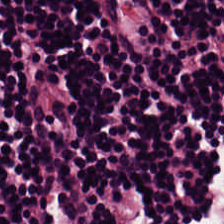Hematoxylin and eosin · 0.5 µm per pixel · FFPE — The predominant tissue is lymphocyte aggregate.
